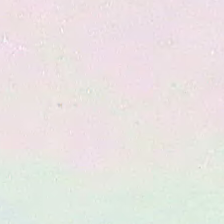Stain: H&E-stained tissue section.
Field content: background (no tissue).
